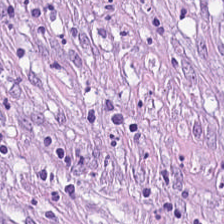Tissue class: tumor stroma.
